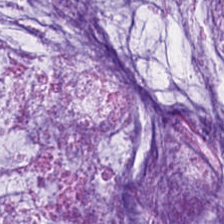H&E stain. Finding — mucin.
